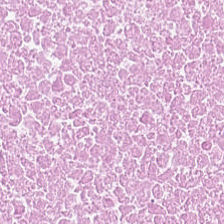224×224 pixel tile. H&E-stained tissue section. Impression → cellular debris.
